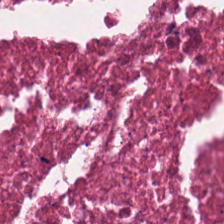Stain: hematoxylin and eosin.
Tile size: 224×224 pixel tile.
Classification: debris.
